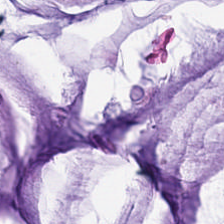The tissue here is mucin.
